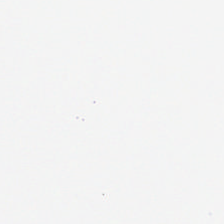H&E stain. This field is background (no tissue).
